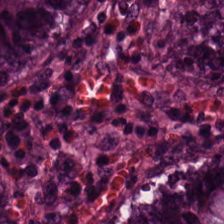Hematoxylin and eosin.
Classification = normal colonic mucosa.
